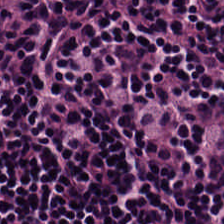20× equivalent magnification. H&E stain. FFPE tissue section — Predominantly lymphoid infiltrate.
